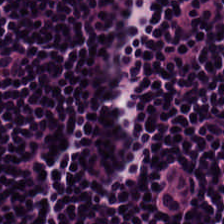FFPE. H&E-stained tissue section. 224×224 px patch. Showing lymphoid infiltrate.
